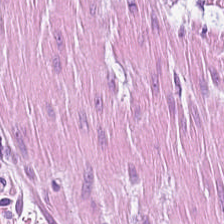H&E-stained section; the field shows smooth-muscle tissue.
